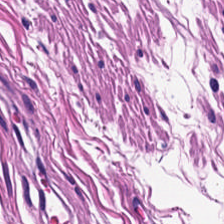H&E; 224×224 px patch.
The tissue type is smooth-muscle tissue.
